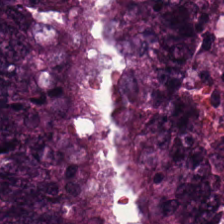H&E. 0.5 µm per pixel — Tissue type = adenocarcinoma.
